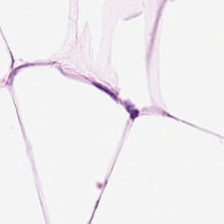20× equivalent magnification. H&E stain — Predominantly adipose tissue.
